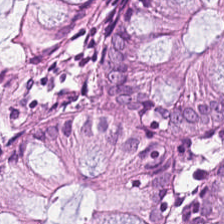FFPE tissue section; H&E.
Predominantly normal colon mucosa.
